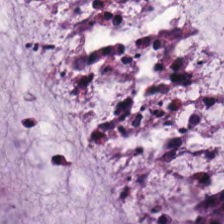0.5 microns per pixel; H&E. Predominantly mucus.
